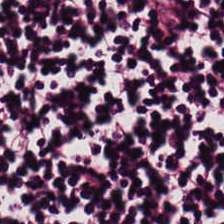Hematoxylin and eosin — Lymphocytes.
